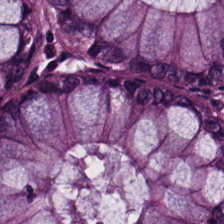Q: What tissue is shown?
A: The field shows normal colonic mucosa.
